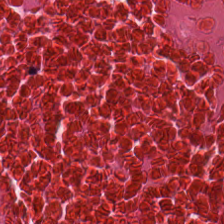H&E stain. Predominantly necrotic debris.
